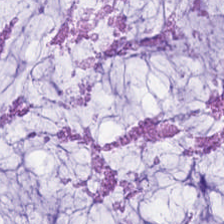Brightfield microscopy · hematoxylin-and-eosin stained section.
Classification: mucus.
